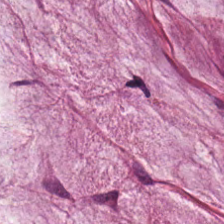H&E stain. This patch shows mucus.
